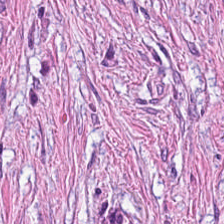H&E. Tissue: tumor stroma.
